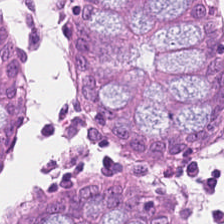H&E stain — Predominant tissue = normal colonic mucosa.
